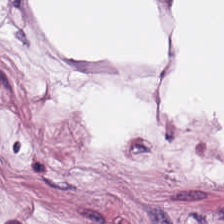H&E. Histology → fat tissue.
